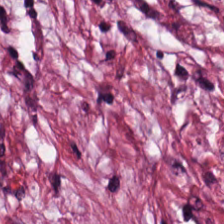Hematoxylin-and-eosin stained section — Impression — desmoplastic stroma.
